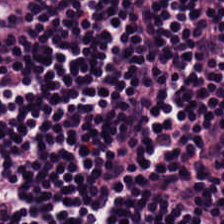Q: What does this patch show?
A: This is lymphocytes.
